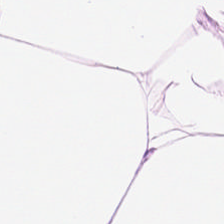H&E-stained tissue section. Tissue class: adipose.
